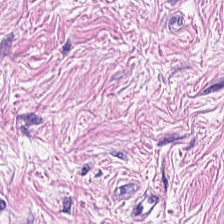Hematoxylin-and-eosin stained section · 224×224 px tile — Tumor-associated stroma.
